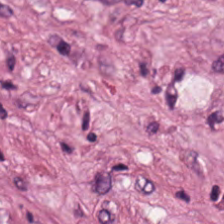H&E-stained tissue section. Q: What is shown here?
A: Tumor stroma.
